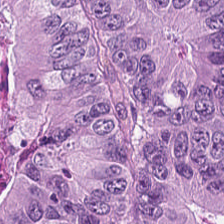Hematoxylin-and-eosin stained section — The predominant tissue is colorectal adenocarcinoma epithelium.
